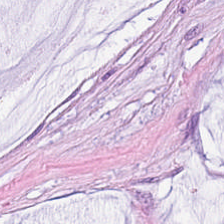H&E — Showing mucin.
